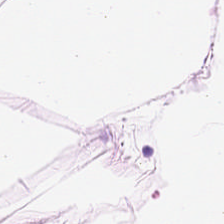Stain: hematoxylin-and-eosin stained section.
Acquisition: brightfield microscopy.
Tissue: adipose.
